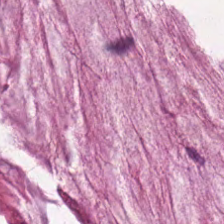Hematoxylin and eosin. Q: What does this patch show?
A: This is extracellular mucin.
